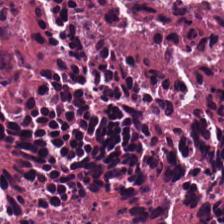Stain: H&E stain.
Tissue: debris.
